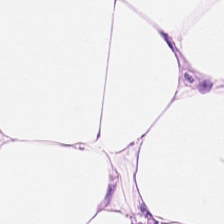Stain: H&E.
Predominant tissue: adipose.
